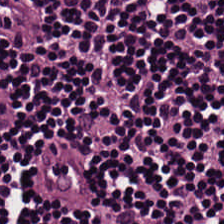H&E. Q: Identify the tissue.
A: It is lymphocyte aggregate.
